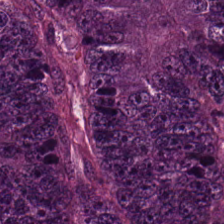Hematoxylin-and-eosin stained section; 224×224 pixel tile.
Tissue class = malignant epithelium.
